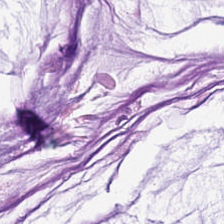Brightfield · H&E stain.
Q: What tissue is shown?
A: The field shows mucin.
